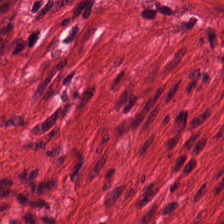Hematoxylin-and-eosin stained section — Q: What tissue type is shown here?
A: This is smooth-muscle tissue.
